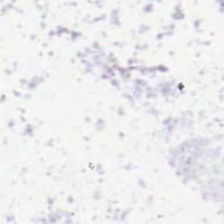FFPE tissue section; hematoxylin and eosin.
Q: What does this patch show?
A: This is background.
